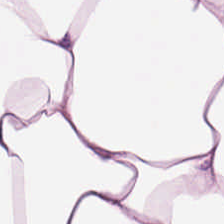Tissue: fat tissue.
